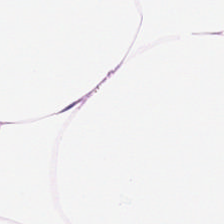The tissue is fat tissue.
